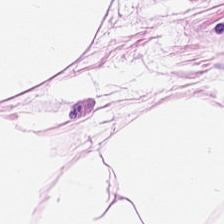Hematoxylin and eosin · 224×224 px tile · 20× equivalent magnification.
Q: What is shown here?
A: The field shows adipose.
